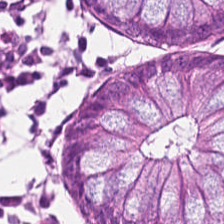H&E-stained tissue section. Showing benign colonic mucosa.
